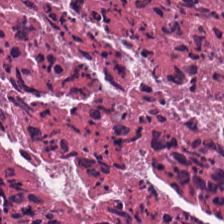H&E stain. Tissue = debris.
